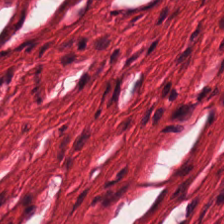H&E stain.
Predominant tissue — smooth muscle.
